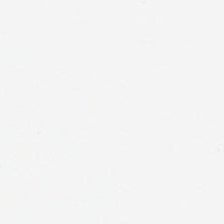Hematoxylin-and-eosin stained section · 224×224 pixel tile · FFPE tissue section.
Q: Classify this patch.
A: It is background (no tissue).
